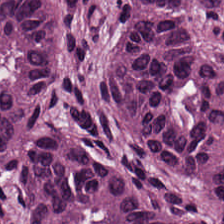Tissue type: colorectal adenocarcinoma epithelium.
